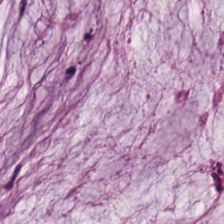H&E-stained tissue section.
Predominant tissue — mucus.
